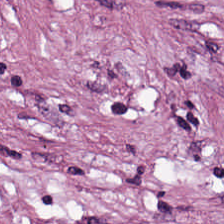Hematoxylin and eosin · 0.5 µm per pixel.
Cancer-associated stroma.
